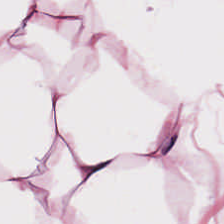Hematoxylin and eosin · 20× equivalent magnification.
Showing adipocytes.
